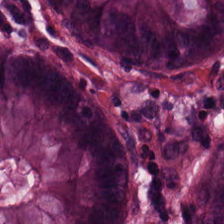H&E — Classification — benign colonic mucosa.
